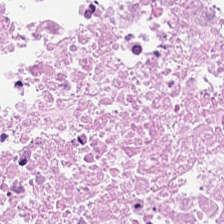The predominant tissue is debris.
